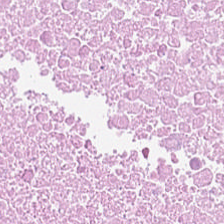Stain: hematoxylin-and-eosin stained section.
Classification: debris.
